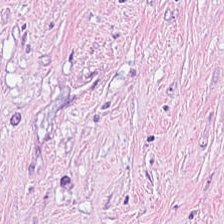Brightfield; 0.5 µm/px; H&E stain. {"tissue_type": "tumor stroma"}
